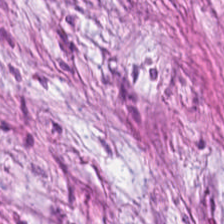The tissue is tumor stroma.
